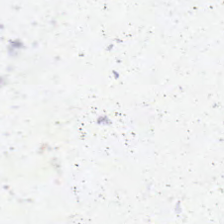H&E.
Q: What does this patch show?
A: It is no tissue.
